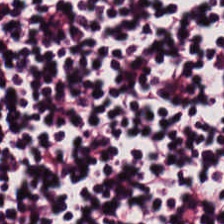Brightfield microscopy · H&E — Tissue class = lymphocytic infiltrate.
